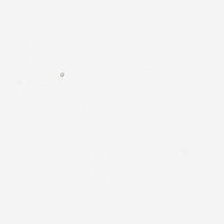Finding — empty background.
